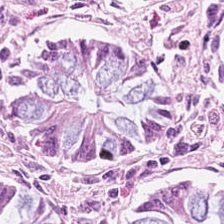224×224 px patch · hematoxylin and eosin · 0.5 µm per pixel — Normal colon mucosa.
